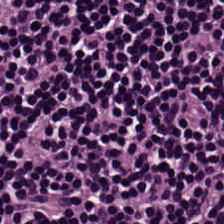FFPE tissue section; H&E — {"tissue_type": "lymphocytes"}
